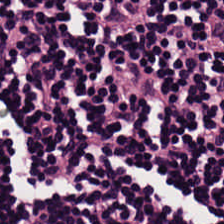This patch shows lymphocytes.
